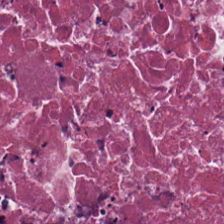Brightfield microscopy; H&E-stained tissue section. Q: Classify this patch.
A: Necrotic debris.
